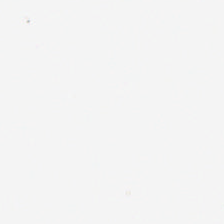0.5 µm per pixel. FFPE. H&E.
Field content: background.
